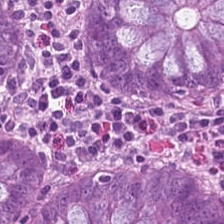Stain: H&E-stained tissue section.
Predominant tissue: non-neoplastic colon mucosa.
